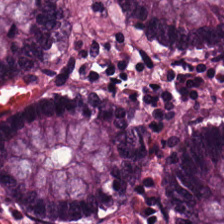Histology — normal colonic mucosa.
